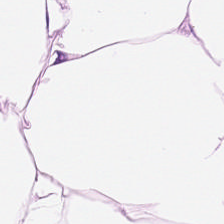FFPE; 0.5 µm/px; hematoxylin and eosin.
Adipocytes.
